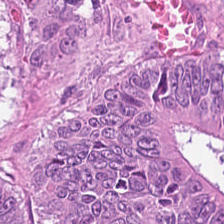224×224 px patch · H&E-stained tissue section · 0.5 µm/px.
Tissue class: adenocarcinoma.
